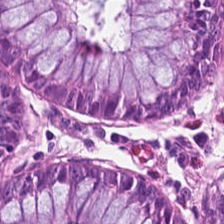H&E-stained tissue section. 224×224 pixel tile.
Tissue type: benign colonic mucosa.
